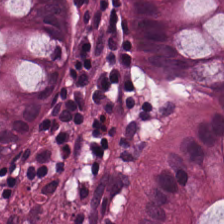Brightfield microscopy. H&E-stained tissue section. 224×224 px patch.
This patch shows normal colon mucosa.
